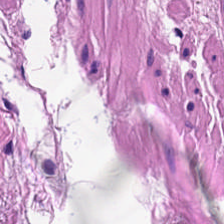Hematoxylin and eosin.
Q: What is the predominant tissue type?
A: The field shows smooth-muscle tissue.
